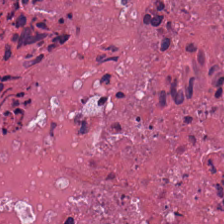Formalin-fixed paraffin-embedded section. H&E stain. This patch shows necrotic debris.
